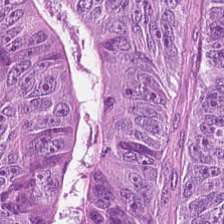Hematoxylin and eosin.
Q: What is the predominant tissue type?
A: This is tumor epithelium.
